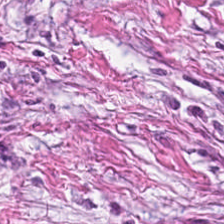Stain: H&E stain.
Tissue class: desmoplastic stroma.
